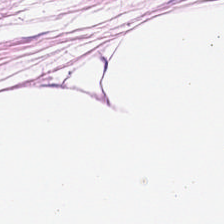H&E stain · FFPE tissue section · brightfield.
Q: What tissue type is shown here?
A: This is adipocytes.
